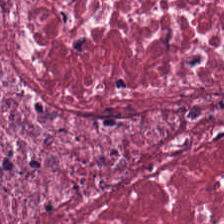Hematoxylin and eosin — This patch shows cancer-associated stroma.
